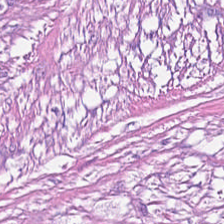H&E patch showing tumor-associated stroma.
